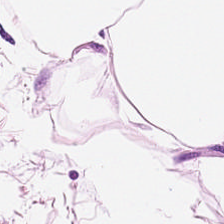Hematoxylin-and-eosin stained section.
{"tissue_type": "adipocytes"}
